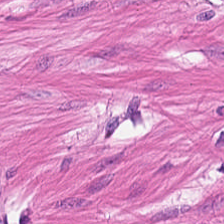0.5 µm per pixel; H&E stain; 224×224 px tile. Predominant tissue = muscularis.
